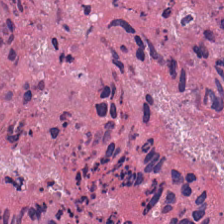Q: Classify this patch.
A: Debris.
